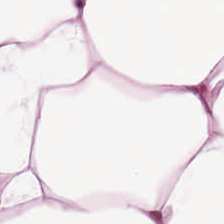Stain: H&E stain.
Tissue: adipocytes.
